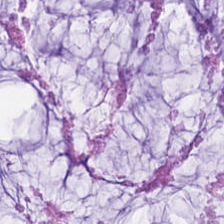Stain: hematoxylin and eosin.
Preparation: formalin-fixed paraffin-embedded section.
Classification: mucus.
